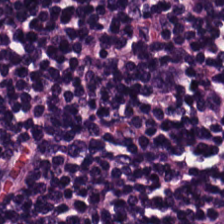Formalin-fixed paraffin-embedded section; hematoxylin-and-eosin stained section.
Classification: lymphoid infiltrate.
